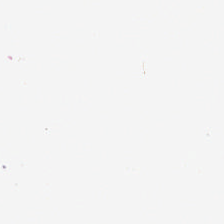H&E. The classification is empty background.
